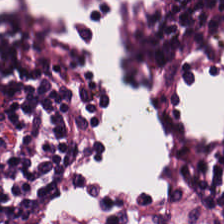H&E stain. Lymphoid infiltrate.
